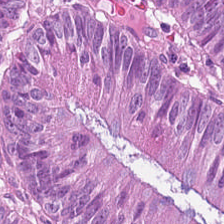Brightfield. H&E-stained tissue section. {"tissue_type": "colorectal adenocarcinoma"}
